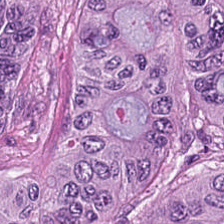The predominant tissue is tumor epithelium.
